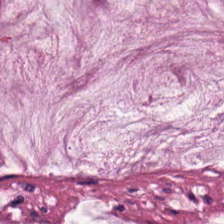FFPE tissue section. H&E-stained tissue section — Tissue class = extracellular mucin.
